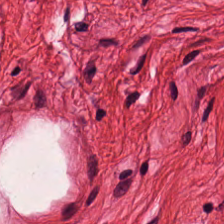The tissue type is smooth-muscle tissue.
